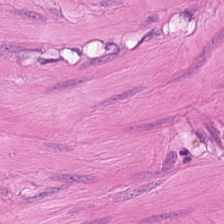Hematoxylin and eosin; 0.5 µm/px.
Q: What tissue is shown?
A: The field shows smooth muscle.
